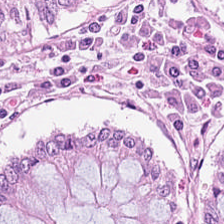H&E stain; 224×224 px tile — The tissue type is benign colonic mucosa.
